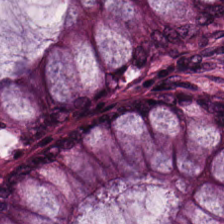Showing normal colon mucosa.
